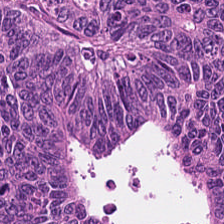H&E-stained tissue section.
Q: What tissue is shown?
A: Tumor epithelium.
